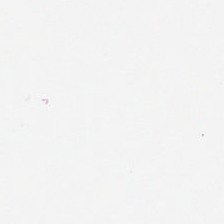224×224 px patch. Whole-slide-image patch. H&E-stained tissue section. Background.
